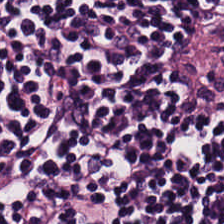224×224 pixel tile · H&E-stained tissue section — The tissue here is lymphocytes.
